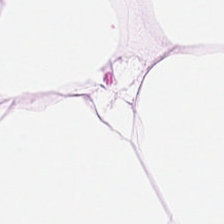Stain: hematoxylin-and-eosin stained section.
Resolution: 20× equivalent magnification.
Acquisition: WSI patch.
Tissue: adipose tissue.
